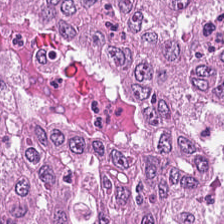FFPE. H&E. This field is tumor epithelium.
